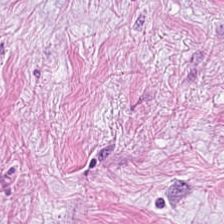H&E-stained tissue section · 224×224 px patch. {"tissue_type": "desmoplastic stroma"}
